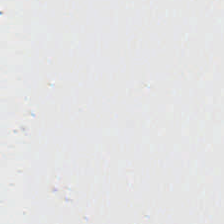Hematoxylin and eosin. No tissue present; background only.
